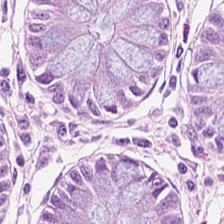0.5 µm per pixel · H&E stain · brightfield. Finding — normal colon mucosa.
